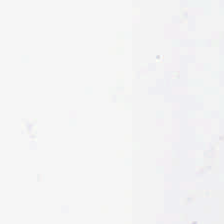Hematoxylin and eosin. Content: no tissue.
